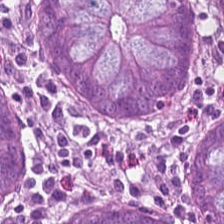224×224 px patch. Hematoxylin-and-eosin stained section. FFPE — The tissue class is non-neoplastic colon mucosa.
